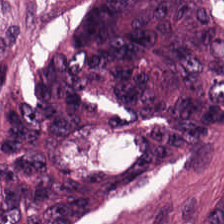Hematoxylin-and-eosin stained section — Classification — colorectal adenocarcinoma epithelium.
